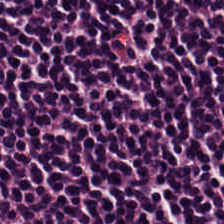H&E-stained section; the field shows lymphocytic infiltrate.
